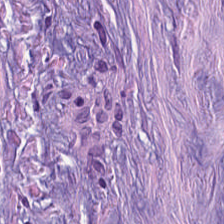Hematoxylin-and-eosin stained section. This patch shows tumor-associated stroma.
